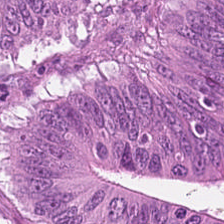Stain: H&E.
Tissue class: colorectal adenocarcinoma.
